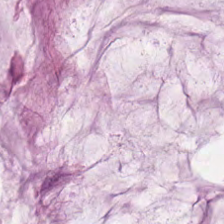H&E-stained tissue section; 0.5 microns per pixel. {"tissue_type": "extracellular mucin"}
